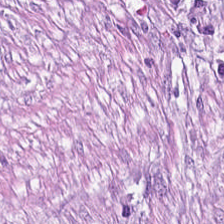224×224 pixel tile. H&E-stained tissue section — This patch shows desmoplastic stroma.
